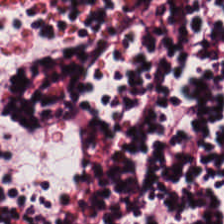Finding → lymphocytic infiltrate.
